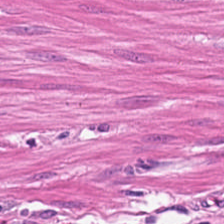H&E. This field is smooth-muscle tissue.
